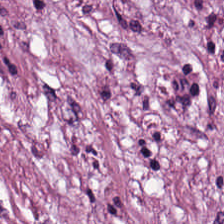Hematoxylin-and-eosin stained section — Tumor-associated stroma.
